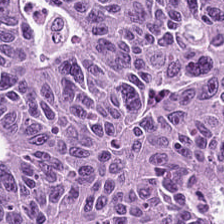H&E patch showing colorectal adenocarcinoma.
